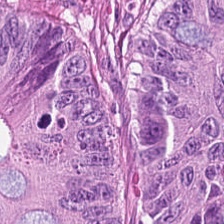Predominant tissue = malignant epithelium.
